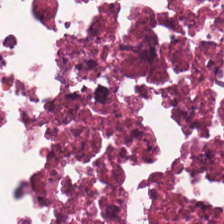Hematoxylin and eosin. 224×224 px tile. Q: What is the predominant tissue type?
A: It is cellular debris.
